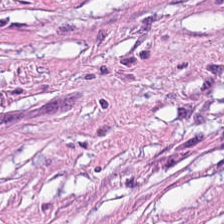Hematoxylin-and-eosin stained section · 224×224 px tile. Classification = tumor-associated stroma.
